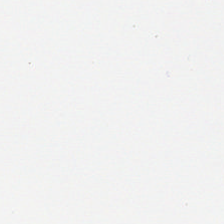Stain: hematoxylin and eosin.
Classification: background.
